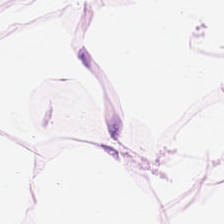Hematoxylin-and-eosin stained section — Predominantly adipose.
